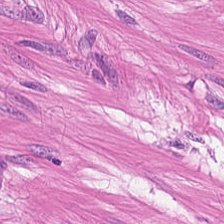Predominant tissue — smooth-muscle tissue.
